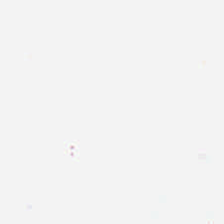Field content: background (no tissue).
